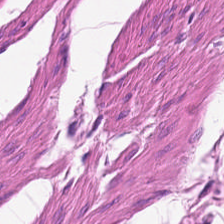Hematoxylin-and-eosin stained section.
This field is smooth muscle.
